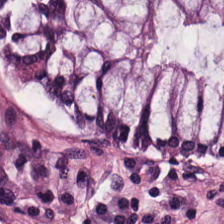0.5 µm per pixel; WSI patch; H&E — Tissue = non-neoplastic colon mucosa.
